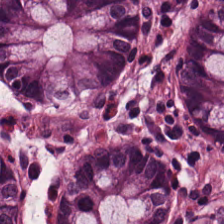H&E-stained tissue section. Tissue: benign colonic mucosa.
